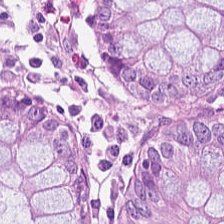224×224 px patch · formalin-fixed paraffin-embedded section · hematoxylin-and-eosin stained section. Tissue: normal colonic mucosa.
